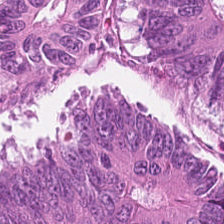H&E-stained tissue section. This patch shows tumor epithelium.
